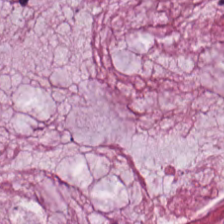H&E-stained tissue section — Classification: extracellular mucin.
